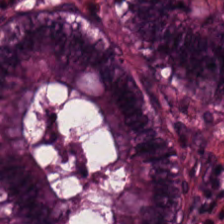Hematoxylin and eosin · FFPE. Showing normal colon mucosa.
